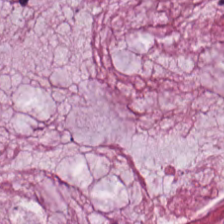H&E-stained tissue section. Q: What is shown in this field?
A: The field shows extracellular mucin.
